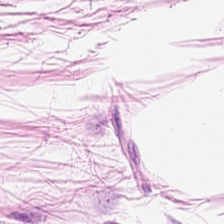The tissue class is adipose tissue.
